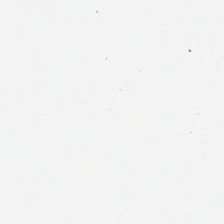H&E.
{"content": "no tissue"}
